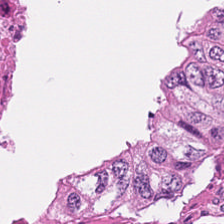Hematoxylin-and-eosin stained section — The tissue here is debris.
